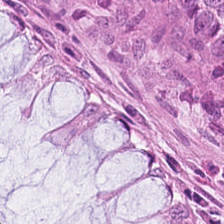Hematoxylin-and-eosin stained section. The predominant tissue is benign colonic mucosa.
